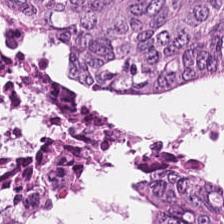Stain: H&E.
Acquisition: WSI patch.
Resolution: 20× equivalent magnification.
Tissue class: colorectal adenocarcinoma.
